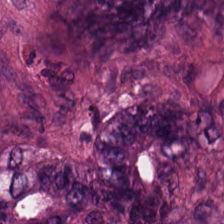0.5 µm per pixel · H&E-stained tissue section · FFPE — This field is malignant epithelium.
